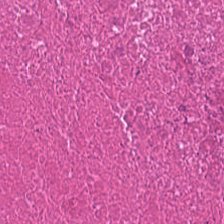Brightfield; 0.5 µm per pixel; hematoxylin-and-eosin stained section. Predominantly debris.
